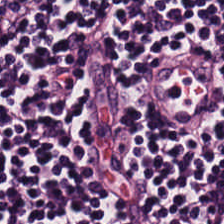H&E stain; whole-slide-image patch; 0.5 µm/px. Showing lymphoid infiltrate.
